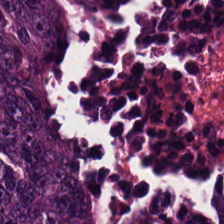H&E.
The tissue class is malignant epithelium.
